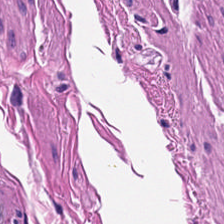Hematoxylin and eosin · 20× equivalent magnification — The predominant tissue is muscularis.
